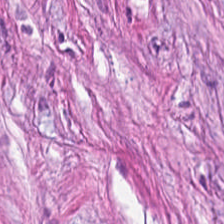H&E-stained tissue section · WSI patch — Classification: tumor stroma.
